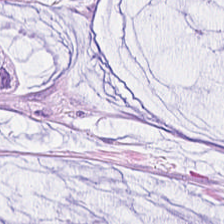Q: What tissue type is shown here?
A: The field shows mucin.
